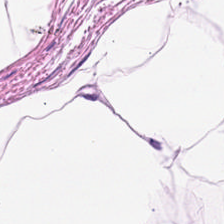Brightfield microscopy · H&E stain — Finding → fat tissue.
